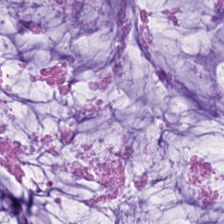224×224 pixel tile; H&E stain. Q: Classify this patch.
A: It is extracellular mucin.
